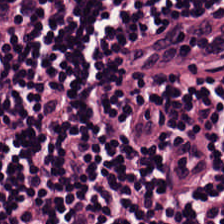Whole-slide-image patch. 224×224 px patch. H&E.
This field is lymphocytic infiltrate.
